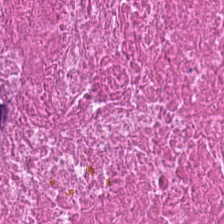H&E-stained tissue section showing necrotic debris.
